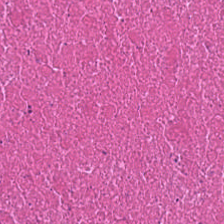H&E-stained tissue section. Q: Classify this patch.
A: It is debris.
